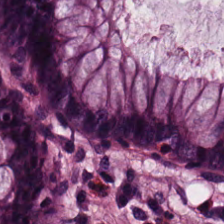0.5 µm per pixel · H&E stain.
Tissue class — normal colon mucosa.
